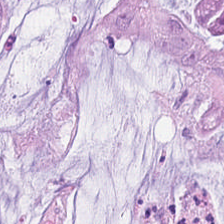Q: What does this patch show?
A: It is mucus.
